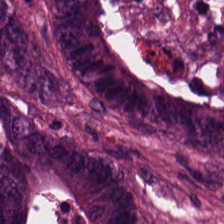H&E. 224×224 px patch. 20× equivalent magnification.
Q: What does this patch show?
A: Tumor epithelium.
